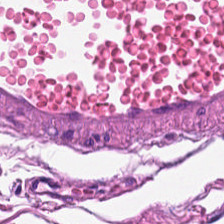Hematoxylin-and-eosin section: muscularis.
